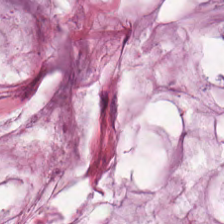H&E stain · FFPE · 0.5 µm per pixel.
This patch shows extracellular mucin.
